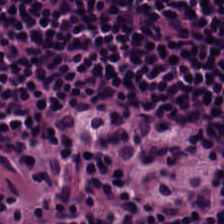H&E stain — Tissue class — lymphocytes.
